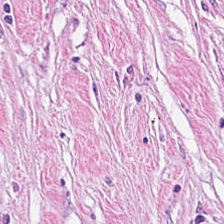Cancer-associated stroma.
